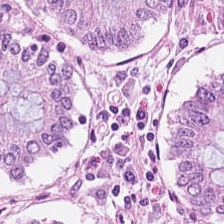H&E patch showing normal colonic mucosa.
